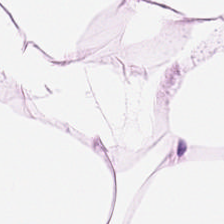H&E · 0.5 microns per pixel. This patch shows adipose tissue.
